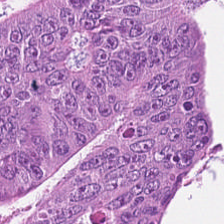This field is adenocarcinoma.
